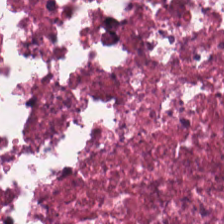Hematoxylin and eosin. WSI patch. Formalin-fixed paraffin-embedded section — This patch shows debris.
